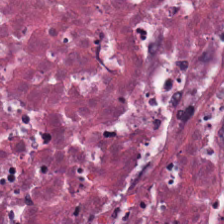Q: Classify this patch.
A: This is cellular debris.
